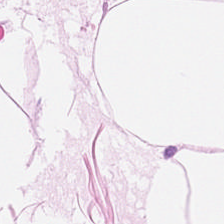Hematoxylin-and-eosin stained section. Fat tissue.
